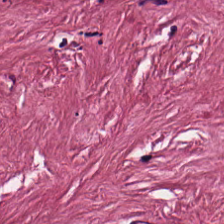0.5 µm per pixel. WSI patch. H&E-stained tissue section.
Q: What tissue type is shown here?
A: It is tumor stroma.
